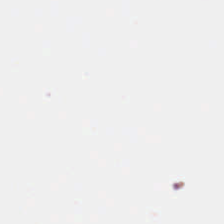Stain: H&E-stained tissue section.
Content: background (no tissue).
